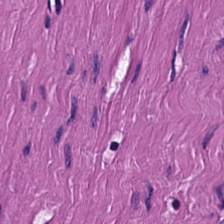H&E stain. Q: What is shown in this field?
A: This is smooth-muscle tissue.
